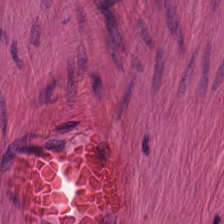This patch shows smooth-muscle tissue.
